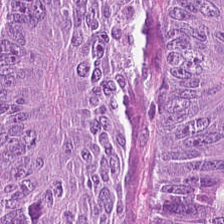Hematoxylin and eosin.
The classification is colorectal adenocarcinoma epithelium.
